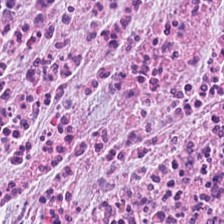H&E-stained tissue section — Predominantly cancer-associated stroma.
